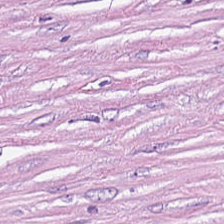224×224 px patch · H&E-stained tissue section.
Tissue class — tumor-associated stroma.
